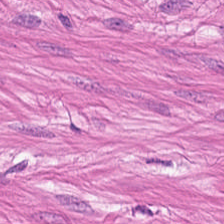FFPE; hematoxylin and eosin. Q: Classify this patch.
A: This is smooth-muscle tissue.
